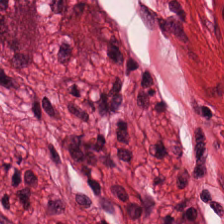The predominant tissue is muscularis.
